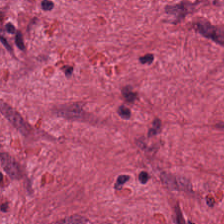Hematoxylin and eosin. Q: Classify this patch.
A: The field shows tumor-associated stroma.
